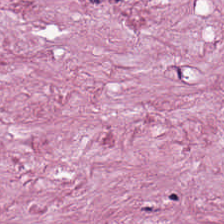H&E-stained tissue section. Classification = tumor-associated stroma.
